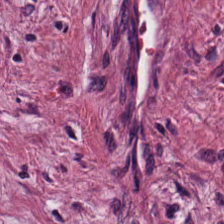The predominant tissue is desmoplastic stroma.
